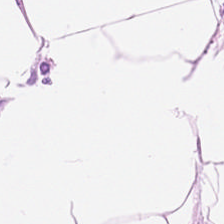H&E-stained tissue section. 224×224 pixel tile. This field is adipose tissue.
